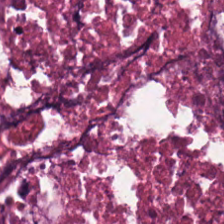H&E. Q: Identify the tissue.
A: This is cellular debris.
